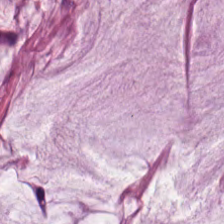H&E · FFPE.
Tissue — extracellular mucin.
